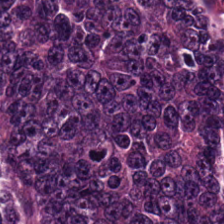Impression → adenocarcinoma.
